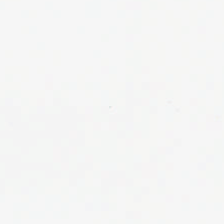H&E. Background — no tissue in this field.
